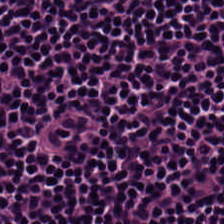Tissue type: lymphocytes.
